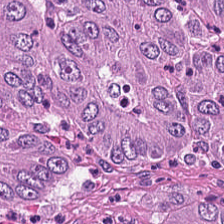0.5 microns per pixel · 224×224 px patch · H&E stain.
The tissue here is colorectal adenocarcinoma epithelium.
